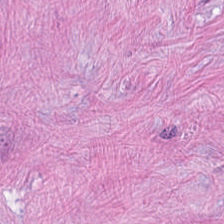This patch shows desmoplastic stroma.
